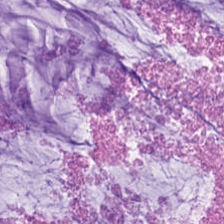H&E-stained tissue section. 0.5 µm per pixel — Q: What is shown in this field?
A: The field shows mucin.
